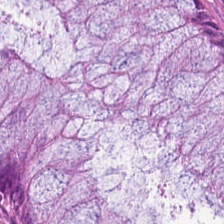Hematoxylin and eosin. Predominant tissue — normal colonic mucosa.
